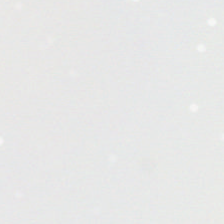No tissue present; background only.
